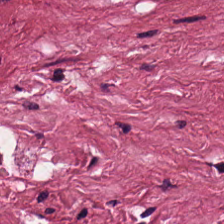H&E-stained tissue section — Tissue: tumor-associated stroma.
